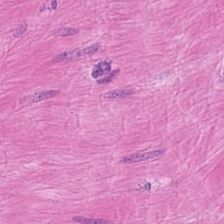0.5 microns per pixel · H&E-stained tissue section. Tissue class = smooth-muscle tissue.
